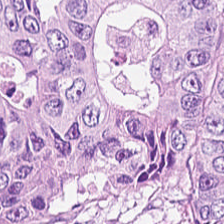Stain: H&E.
Resolution: 0.5 µm/px.
Tissue: colorectal adenocarcinoma epithelium.
